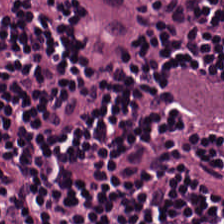Stain: hematoxylin and eosin.
Classification: lymphocytic infiltrate.
